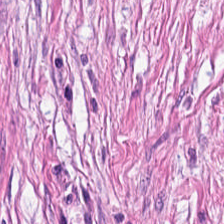0.5 µm/px; 224×224 px tile; hematoxylin-and-eosin stained section.
Predominant tissue = tumor-associated stroma.
